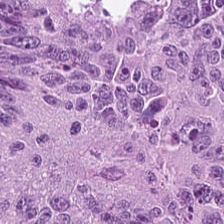H&E stain — Colorectal adenocarcinoma epithelium.
